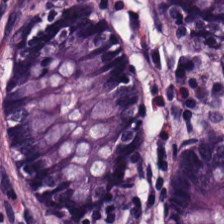Whole-slide-image patch · H&E stain — Normal colonic mucosa.
